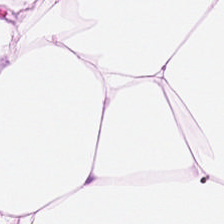H&E. Q: What does this patch show?
A: The field shows adipose.
